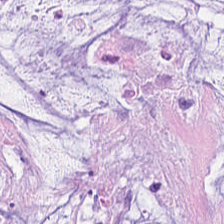Finding — extracellular mucin.
